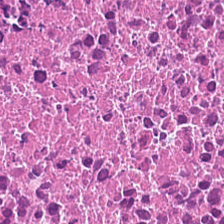Hematoxylin-and-eosin stained section. 0.5 microns per pixel — Tissue = cellular debris.
